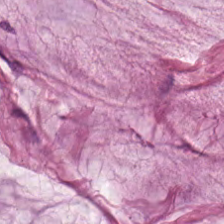0.5 microns per pixel; H&E stain.
Tissue type = mucus.
